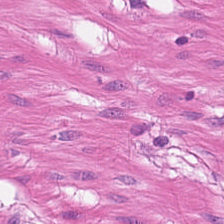Q: What is the predominant tissue type?
A: The field shows muscularis.
